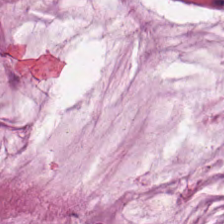Tissue type = extracellular mucin.
